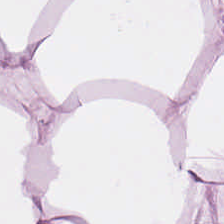Hematoxylin and eosin. {"tissue_type": "adipose"}
